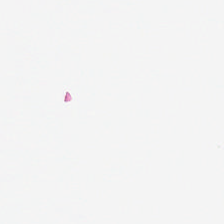224×224 pixel tile. Hematoxylin and eosin.
Q: Classify this patch.
A: It is no tissue.
